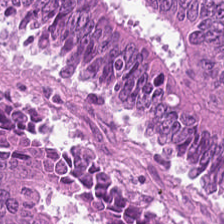This patch shows colorectal adenocarcinoma epithelium.
